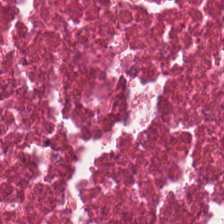H&E. Formalin-fixed paraffin-embedded section.
This patch shows debris.
